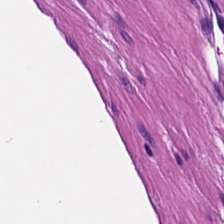Showing smooth-muscle tissue.
